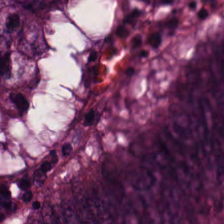Hematoxylin and eosin. Tissue class: colorectal adenocarcinoma epithelium.
